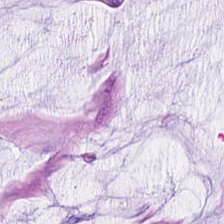Q: What is the predominant tissue type?
A: Mucin.
